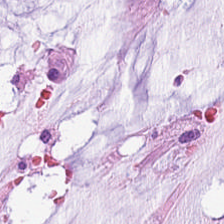Q: What is shown in this field?
A: Extracellular mucin.
